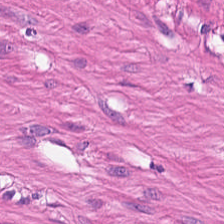Whole-slide-image patch · H&E stain · FFPE. The predominant tissue is smooth muscle.
